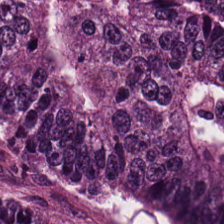H&E stain; FFPE tissue section; 224×224 px patch. Colorectal adenocarcinoma.
